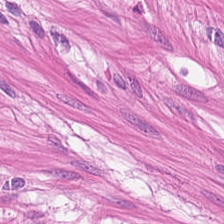Formalin-fixed paraffin-embedded section; hematoxylin and eosin. Finding → muscularis.
